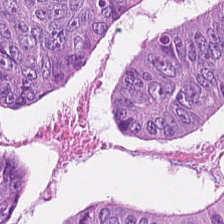FFPE tissue section; hematoxylin and eosin — Finding → tumor epithelium.
